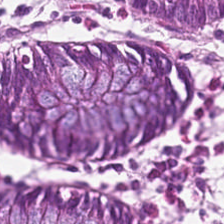{"tissue_type": "normal colonic mucosa"}
